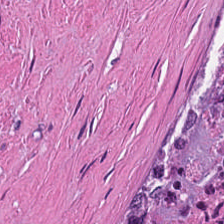H&E-stained tissue section — This field is cellular debris.
